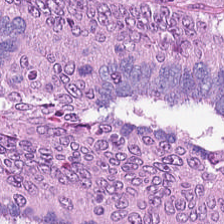Hematoxylin-and-eosin stained section · 0.5 microns per pixel. Q: What is shown in this field?
A: It is tumor epithelium.
